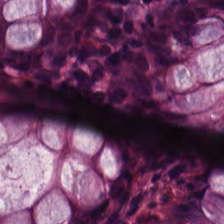H&E-stained tissue section.
Normal colonic mucosa.
